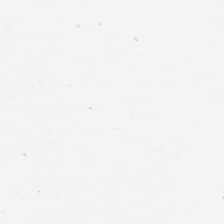H&E-stained tissue section. FFPE — {"content": "empty background"}
